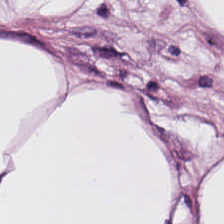H&E-stained section; the field shows fat tissue.
